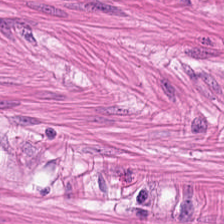Impression → smooth-muscle tissue.
